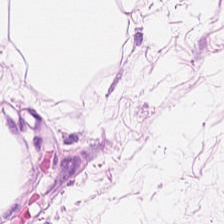Stain: H&E.
Tile size: 224×224 px tile.
Acquisition: brightfield.
Classification: adipose tissue.
